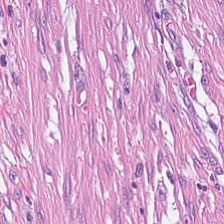Tissue class — cancer-associated stroma.
